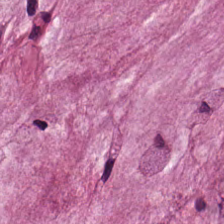Showing mucin.
